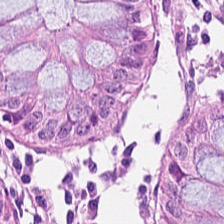Hematoxylin-and-eosin stained section.
Finding → normal colonic mucosa.
